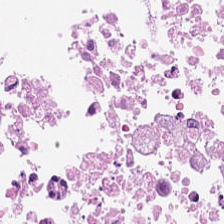Hematoxylin and eosin · brightfield microscopy. The tissue here is cellular debris.
